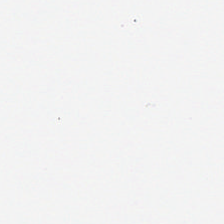Stain: H&E.
Content: background.
